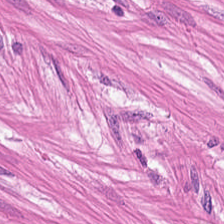0.5 µm/px. H&E. Brightfield — Tissue class = smooth muscle.
